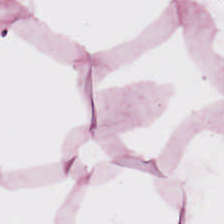Histology — fat tissue.
